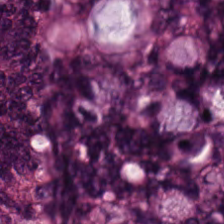Stain: H&E-stained tissue section.
Tissue: malignant epithelium.
